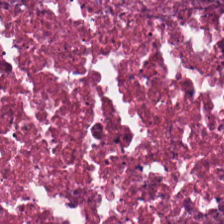H&E — Tissue: necrotic debris.
